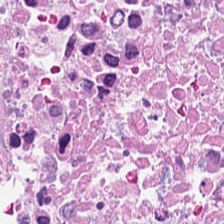H&E — Tissue type = cellular debris.
